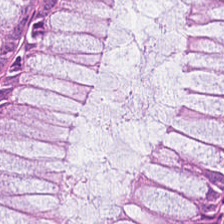H&E.
The predominant tissue is normal colon mucosa.
